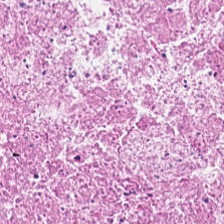Whole-slide-image patch · hematoxylin and eosin. Predominant tissue = debris.
